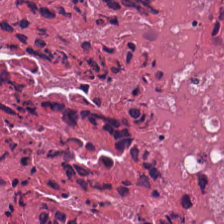H&E. 224×224 px patch. Whole-slide-image patch. Tissue: debris.
